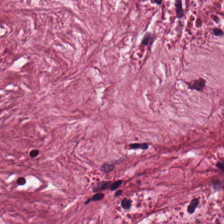Hematoxylin and eosin · 20× equivalent magnification.
This patch shows cancer-associated stroma.
